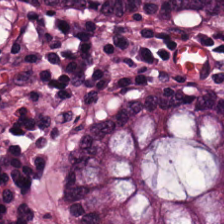H&E stain — Q: What does this patch show?
A: The field shows non-neoplastic colon mucosa.
